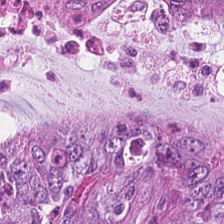H&E; 224×224 px patch — Q: Classify this patch.
A: Colorectal adenocarcinoma epithelium.
